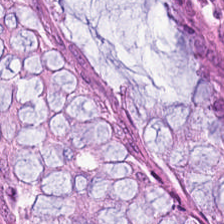Brightfield. Hematoxylin-and-eosin stained section. 224×224 pixel tile.
Impression — normal colon mucosa.
